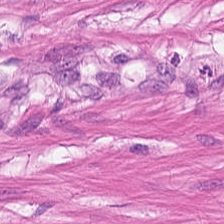Predominantly smooth-muscle tissue.
